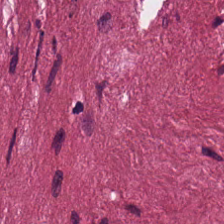H&E.
Classification — cancer-associated stroma.
